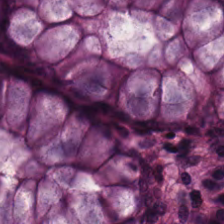Tissue class — normal colonic mucosa.
